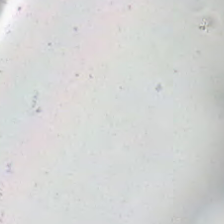Q: What does this patch show?
A: Background.
